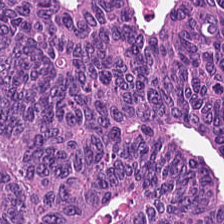H&E stain — Predominantly colorectal adenocarcinoma.
